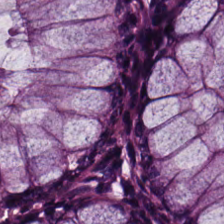Histology — normal colonic mucosa.
